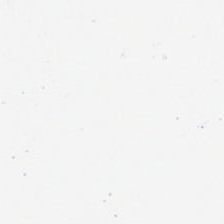Content — background.
